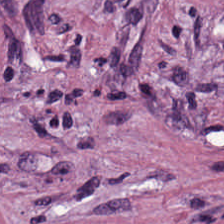0.5 µm per pixel. 224×224 pixel tile. Hematoxylin-and-eosin stained section.
Showing cancer-associated stroma.
